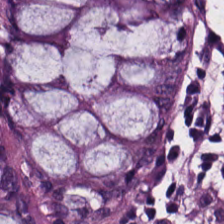Stain: H&E stain.
Resolution: 0.5 µm per pixel.
Acquisition: brightfield.
Tissue class: normal colon mucosa.
